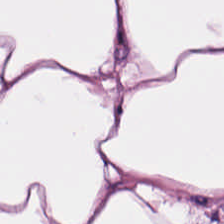Hematoxylin and eosin — Showing adipose.
